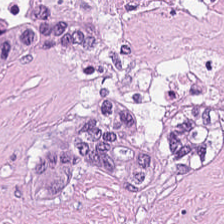Hematoxylin and eosin · 224×224 pixel tile. The tissue type is necrotic debris.
